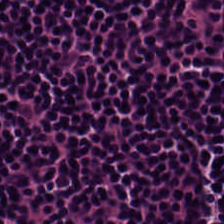Hematoxylin-and-eosin stained section. Showing lymphoid infiltrate.
